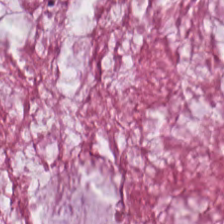{"tissue_type": "extracellular mucin"}
